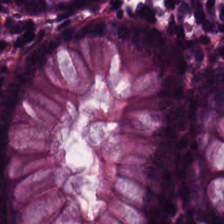0.5 µm per pixel; hematoxylin-and-eosin stained section — Tissue class = normal colon mucosa.
